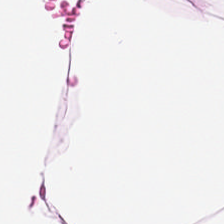H&E stain — Classification = adipose tissue.
